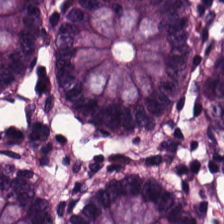The tissue here is normal colon mucosa.
